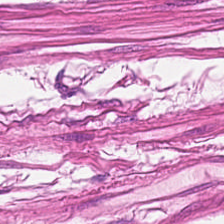H&E stain · formalin-fixed paraffin-embedded section. Q: What tissue type is shown here?
A: Smooth muscle.
